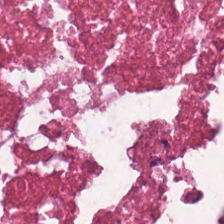H&E · FFPE — Classification: necrotic debris.
